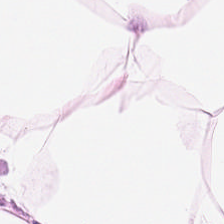Hematoxylin and eosin — Tissue — adipocytes.
